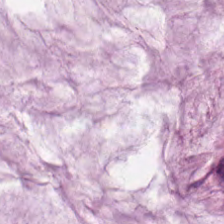H&E-stained section; the field shows mucin.
